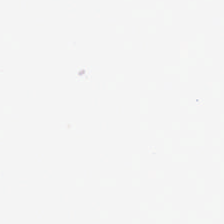H&E; 224×224 px patch. Q: Classify this patch.
A: This is no tissue.
